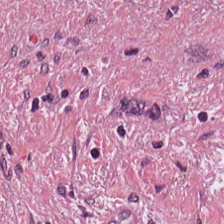The tissue class is tumor stroma.
